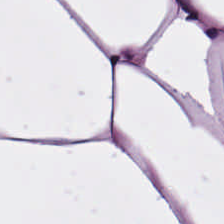Hematoxylin and eosin; 0.5 µm per pixel; FFPE. Tissue: adipose.
